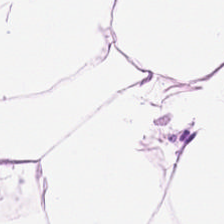Q: What tissue is shown?
A: This is adipose.
